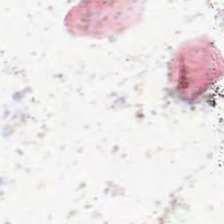0.5 µm per pixel. Hematoxylin and eosin.
{"content": "background"}
